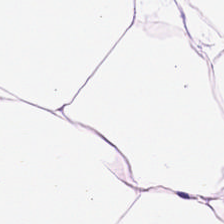Hematoxylin and eosin — This field is fat tissue.
